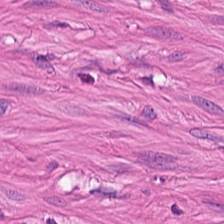Showing muscularis.
